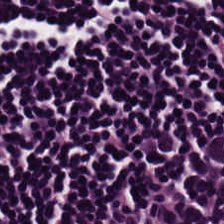H&E-stained section; the field shows lymphocyte aggregate.
